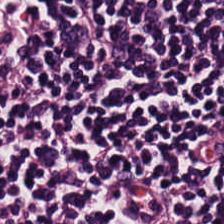The tissue here is lymphoid infiltrate.
